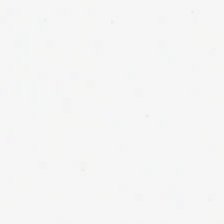Stain: H&E stain.
Content: no tissue.
